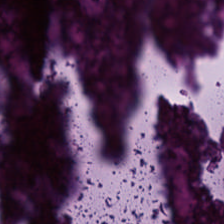H&E stain; brightfield; FFPE — Histology — debris.
